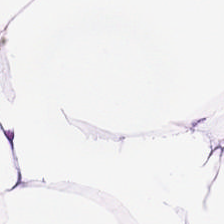Stain: H&E-stained tissue section.
Tissue type: adipocytes.
